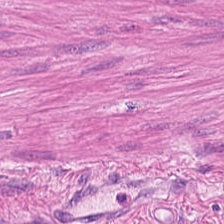This field is muscularis.
